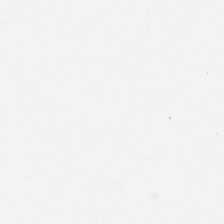Stain: hematoxylin and eosin.
Preparation: FFPE.
Tile size: 224×224 px patch.
Content: empty background.
